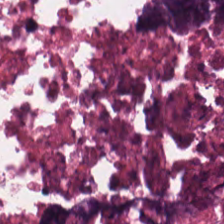Tissue class: debris.
